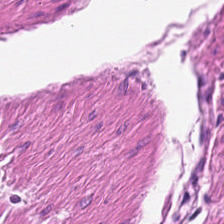Hematoxylin and eosin · FFPE · brightfield microscopy.
Predominantly smooth muscle.
